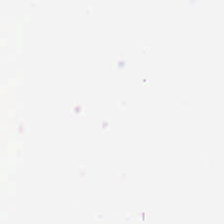H&E stain · brightfield microscopy. No tissue present; background only.
